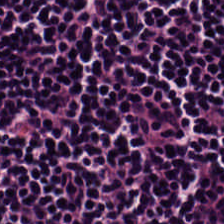H&E-stained tissue section — Lymphocyte aggregate.
